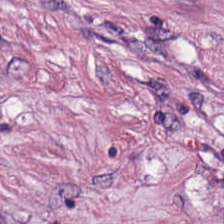Q: What tissue is shown?
A: The field shows tumor-associated stroma.
